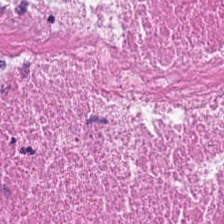H&E stain — The predominant tissue is necrotic debris.
